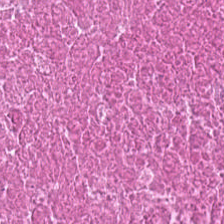Necrotic debris.
